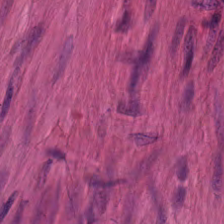H&E.
Q: What is the predominant tissue type?
A: This is muscularis.
